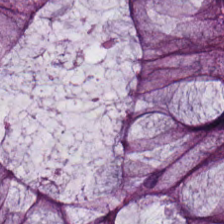Stain: H&E stain.
Tissue type: non-neoplastic colon mucosa.
